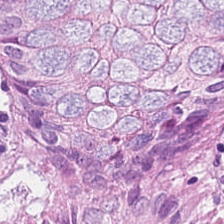FFPE; hematoxylin-and-eosin stained section — The tissue here is non-neoplastic colon mucosa.
